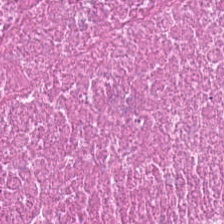Stain: hematoxylin and eosin.
Tissue: cellular debris.
